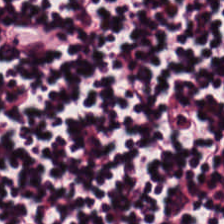H&E — Showing lymphocyte aggregate.
